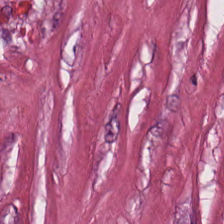Tissue class: desmoplastic stroma.
